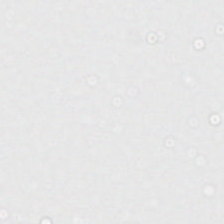0.5 µm per pixel. FFPE tissue section. Hematoxylin-and-eosin stained section — Content = background (no tissue).
